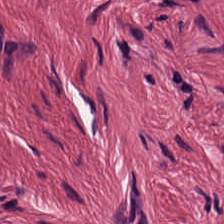H&E-stained tissue section.
Impression → cancer-associated stroma.
